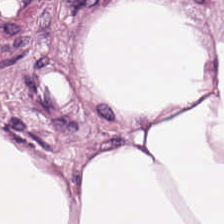H&E-stained tissue section. The tissue type is adipose.
